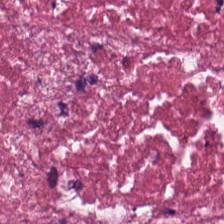Tissue: debris.
